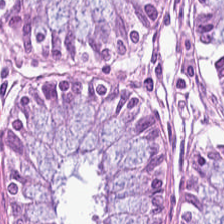FFPE tissue section; hematoxylin-and-eosin stained section; WSI patch.
Q: Identify the tissue.
A: This is normal colon mucosa.
